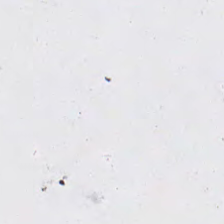Hematoxylin and eosin. Formalin-fixed paraffin-embedded section.
No tissue present; background only.
